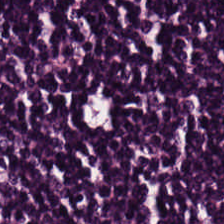{"tissue_type": "lymphocytes"}
